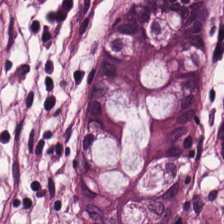The tissue here is benign colonic mucosa.
